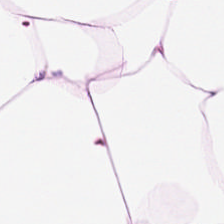0.5 µm/px. WSI patch. H&E — Classification — adipocytes.
